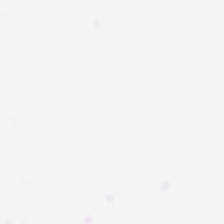H&E-stained tissue section. Content = no tissue.
